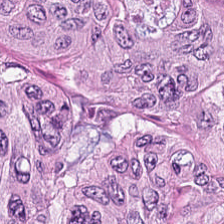Stain: H&E-stained tissue section.
Predominant tissue: adenocarcinoma.
